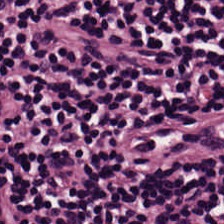The predominant tissue is lymphocyte aggregate.
